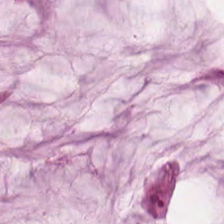224×224 px tile. Hematoxylin-and-eosin stained section. FFPE. Histology → mucin.
